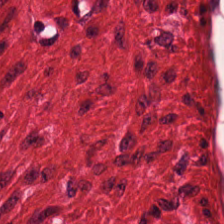Hematoxylin and eosin.
Showing muscularis.
